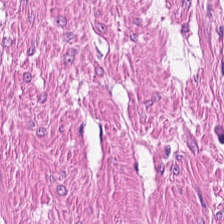Impression → muscularis.
